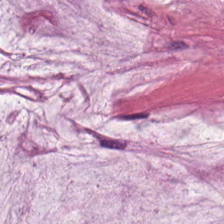Stain: H&E stain.
Preparation: formalin-fixed paraffin-embedded section.
Tissue: mucin.
